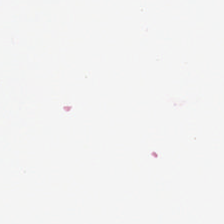{"content": "background"}
